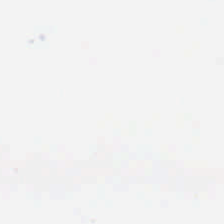Q: What is shown here?
A: Background.
